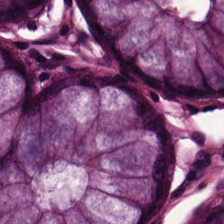Q: What tissue type is shown here?
A: Non-neoplastic colon mucosa.
